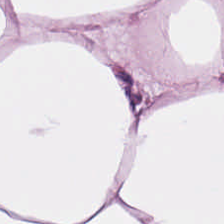Hematoxylin-and-eosin section: fat tissue.
